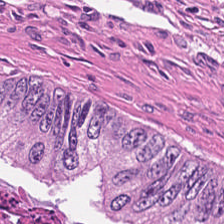Impression → debris.
